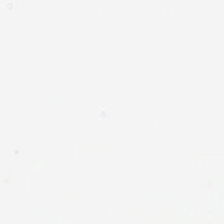H&E-stained tissue section. Content: no tissue.
